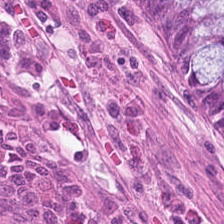Brightfield microscopy; hematoxylin-and-eosin stained section; 0.5 µm per pixel.
Histology → benign colonic mucosa.
